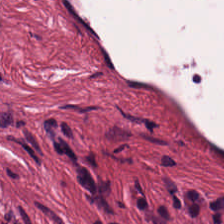Stain: H&E.
Tissue type: tumor-associated stroma.
